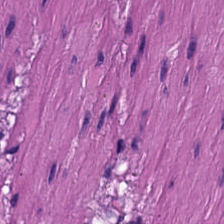H&E — The tissue class is smooth-muscle tissue.
